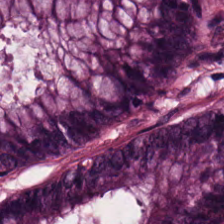H&E-stained section; the field shows normal colonic mucosa.
